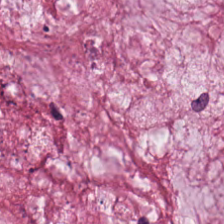H&E — Showing mucus.
